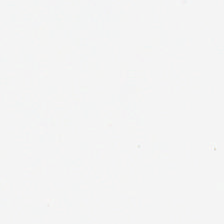Hematoxylin and eosin. Field content: background (no tissue).
